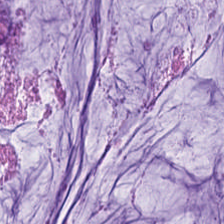H&E stain. 20× equivalent magnification.
Predominant tissue = extracellular mucin.
